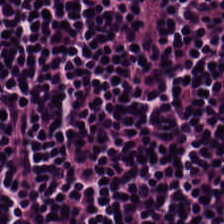Brightfield; hematoxylin and eosin — Q: What tissue is shown?
A: It is lymphocyte aggregate.
